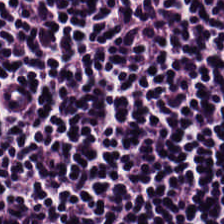Hematoxylin-and-eosin stained section. Classification = lymphocytic infiltrate.
